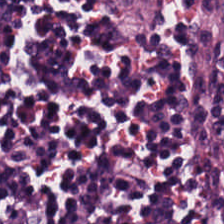Q: What tissue is shown?
A: The field shows lymphocytes.
